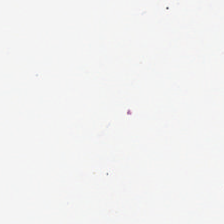Q: Classify this patch.
A: This is empty background.
